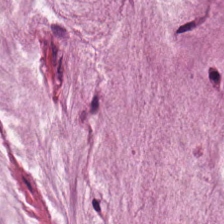H&E. This patch shows mucus.
